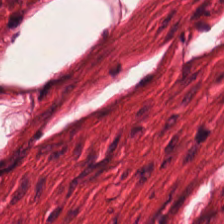Predominant tissue = muscularis.
